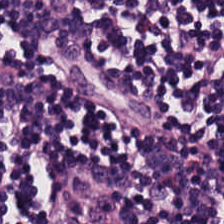Brightfield. H&E stain. The tissue class is lymphoid infiltrate.
